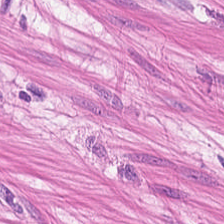H&E.
The tissue here is muscularis.
